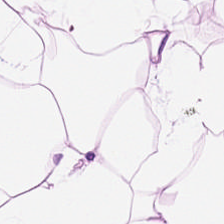H&E-stained tissue section — Q: What is the predominant tissue type?
A: It is fat tissue.
